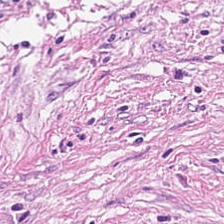H&E stain.
Tissue type: cancer-associated stroma.
